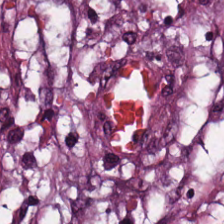Hematoxylin-and-eosin stained section — Predominant tissue: tumor stroma.
